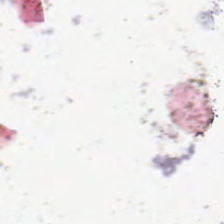Empty field — background.
